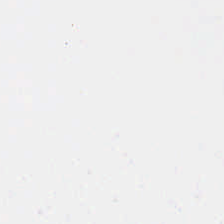H&E-stained tissue section. Background — no tissue in this field.
